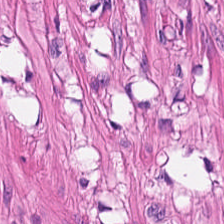H&E — smooth-muscle tissue.
